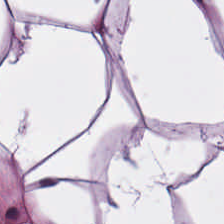Histology → adipose.
